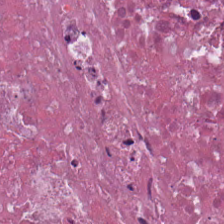Brightfield. H&E-stained tissue section. Showing debris.
